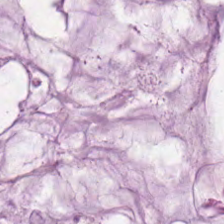Whole-slide-image patch · hematoxylin-and-eosin stained section.
The tissue here is extracellular mucin.
